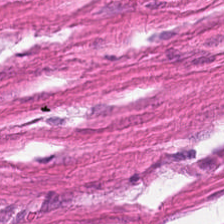224×224 px tile · hematoxylin-and-eosin stained section · brightfield. Classification — smooth-muscle tissue.
